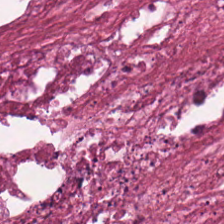Whole-slide-image patch. H&E stain — Q: What type of tissue is this?
A: The field shows debris.
